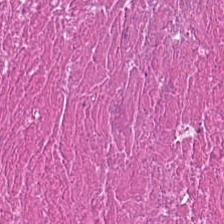H&E-stained tissue section · WSI patch · 224×224 pixel tile.
The tissue here is necrotic debris.
